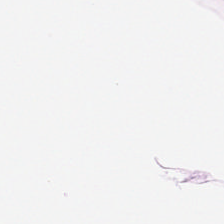Hematoxylin-and-eosin stained section — Adipose tissue.
